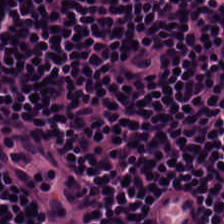The predominant tissue is lymphoid infiltrate.
